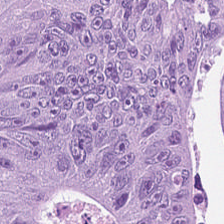Hematoxylin and eosin.
This patch shows tumor epithelium.
